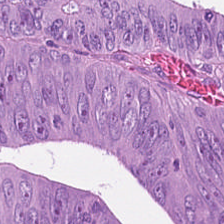Hematoxylin-and-eosin stained section. The tissue class is colorectal adenocarcinoma epithelium.
